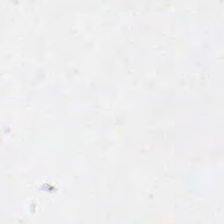Hematoxylin and eosin. 0.5 µm per pixel. Background.
